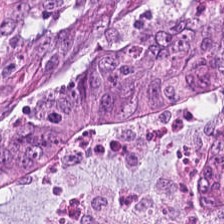H&E-stained tissue section · 0.5 µm/px · formalin-fixed paraffin-embedded section. Classification: malignant epithelium.
